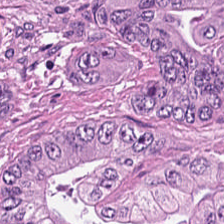Impression — colorectal adenocarcinoma epithelium.
